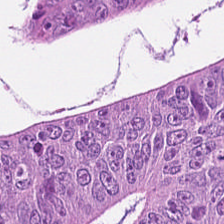FFPE tissue section. Hematoxylin and eosin. WSI patch — Predominant tissue = colorectal adenocarcinoma.
